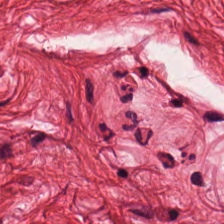H&E-stained tissue section.
The classification is smooth-muscle tissue.
